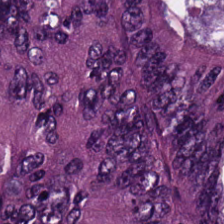H&E stain · formalin-fixed paraffin-embedded section · 20× equivalent magnification — The tissue here is adenocarcinoma.
